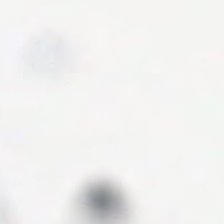Content = no tissue.
